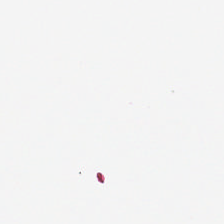Stain: hematoxylin-and-eosin stained section.
Acquisition: WSI patch.
Field content: empty background.
